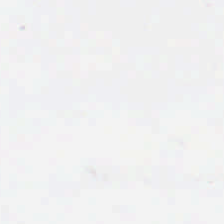H&E; brightfield.
This patch shows background.
